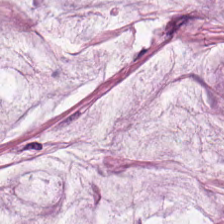Q: What type of tissue is this?
A: Mucin.
